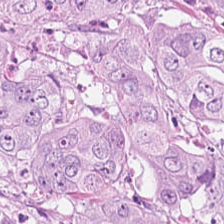Tissue class: colorectal adenocarcinoma epithelium.
